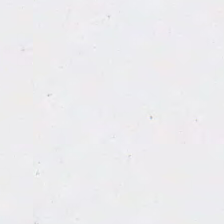Hematoxylin-and-eosin stained section. Field content: background.
